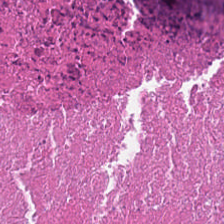Whole-slide-image patch. 0.5 µm per pixel. Hematoxylin-and-eosin stained section.
Classification: necrotic debris.
